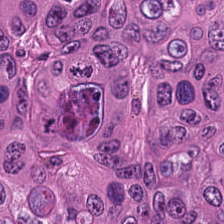Tissue type = colorectal adenocarcinoma epithelium.
